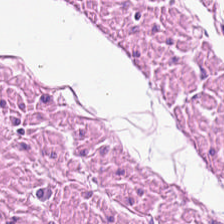Q: What is the predominant tissue type?
A: This is smooth muscle.
